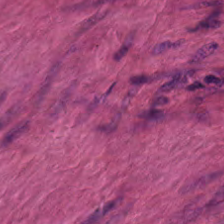Stain: H&E-stained tissue section.
Tissue class: muscularis.
